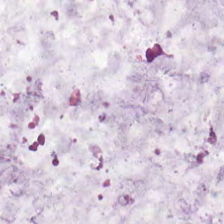Q: What tissue is shown?
A: It is mucin.
